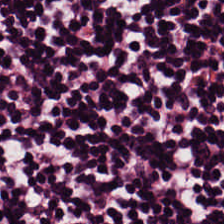H&E. Predominant tissue = lymphocytes.
